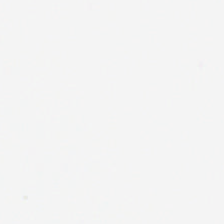Q: What is shown here?
A: It is background (no tissue).
